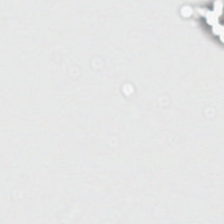Hematoxylin-and-eosin stained section.
Q: What does this patch show?
A: This is background (no tissue).
